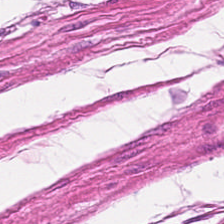Q: What tissue type is shown here?
A: Muscularis.
